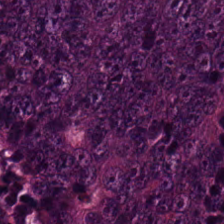Whole-slide-image patch; H&E-stained tissue section.
Tissue type — colorectal adenocarcinoma.
